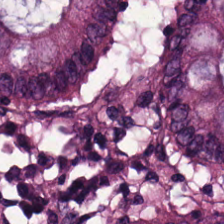Hematoxylin and eosin · brightfield · FFPE — Predominantly benign colonic mucosa.
